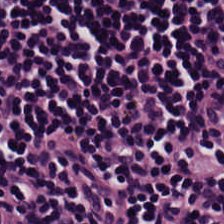Showing lymphocyte aggregate.
